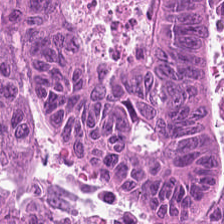FFPE tissue section; H&E-stained tissue section — Impression → tumor epithelium.
